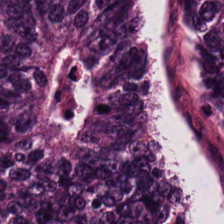Whole-slide-image patch. Hematoxylin-and-eosin stained section.
Finding — tumor epithelium.
